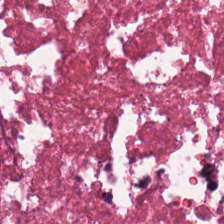Debris.
